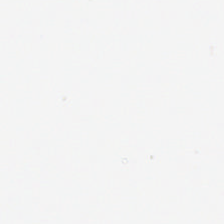Classification — empty background.
